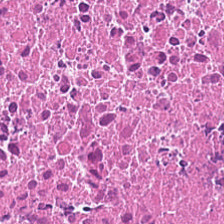The tissue here is cellular debris.
